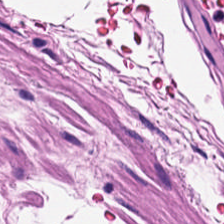H&E stain — Smooth-muscle tissue.
